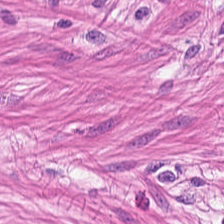Hematoxylin-and-eosin stained section.
Tissue type = muscularis.
